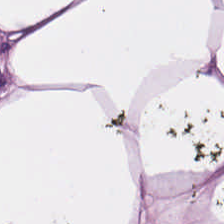224×224 px tile. H&E. Brightfield.
Q: What tissue is shown?
A: The field shows adipose tissue.
